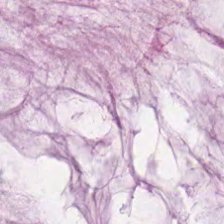Stain: hematoxylin and eosin.
Acquisition: whole-slide-image patch.
Tissue: mucus.
